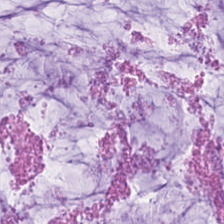FFPE. 0.5 µm/px. H&E-stained tissue section — Q: What is shown here?
A: The field shows extracellular mucin.
